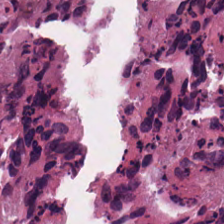This field is cellular debris.
